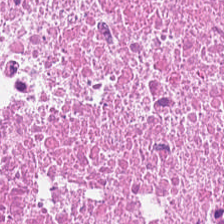0.5 µm/px; hematoxylin-and-eosin stained section; FFPE tissue section. Tissue = debris.
